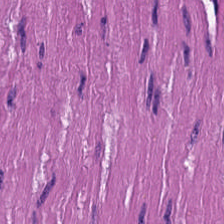Stain: hematoxylin-and-eosin stained section.
Acquisition: whole-slide-image patch.
Tissue class: smooth muscle.
